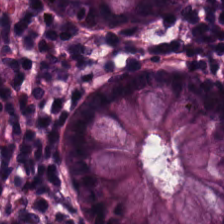H&E stain · 224×224 pixel tile — The classification is benign colonic mucosa.
